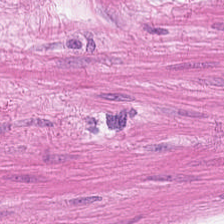H&E.
The tissue here is smooth muscle.
